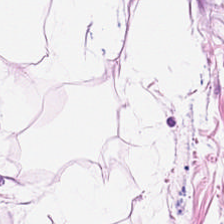The predominant tissue is adipose.
